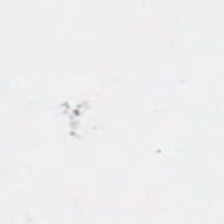FFPE tissue section; H&E stain.
Histology — empty background.
